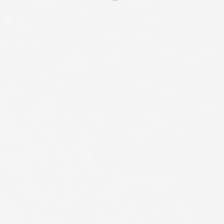H&E stain — Empty field — background (no tissue).
